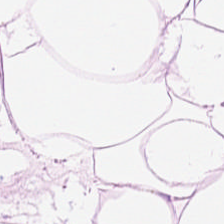Hematoxylin and eosin.
Showing adipose tissue.
